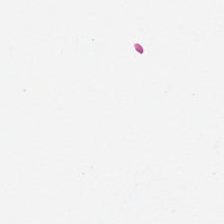H&E-stained tissue section — This field is background (no tissue).
